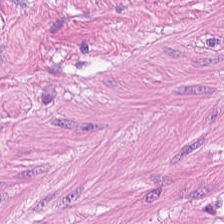Hematoxylin-and-eosin stained section. 20× equivalent magnification — Q: Identify the tissue.
A: The field shows muscularis.
